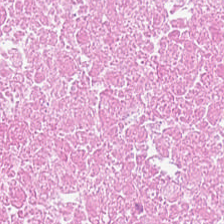224×224 px patch. H&E-stained tissue section. Brightfield microscopy — Finding — cellular debris.
